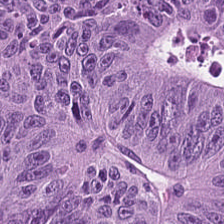H&E stain; WSI patch; 224×224 pixel tile — Predominant tissue — adenocarcinoma.
